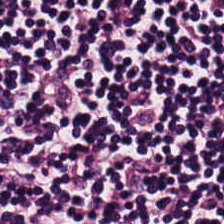Hematoxylin-and-eosin stained section.
Predominant tissue — lymphocytic infiltrate.
